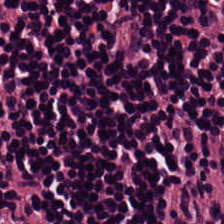Tissue = lymphocytic infiltrate.
